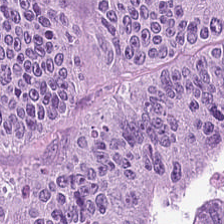Formalin-fixed paraffin-embedded section. H&E stain.
The tissue is colorectal adenocarcinoma epithelium.
